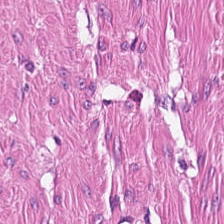H&E — Smooth-muscle tissue.
